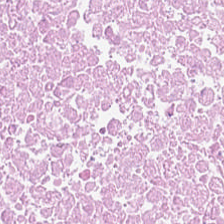H&E stain. The predominant tissue is necrotic debris.
